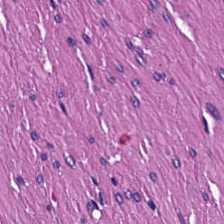20× equivalent magnification · H&E-stained tissue section.
Classification = muscularis.
